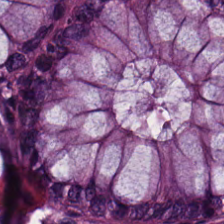Hematoxylin and eosin. 20× equivalent magnification. The predominant tissue is benign colonic mucosa.
